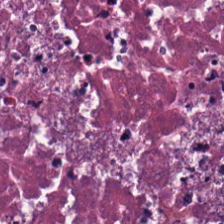H&E stain · whole-slide-image patch. Q: What is shown in this field?
A: Cellular debris.
